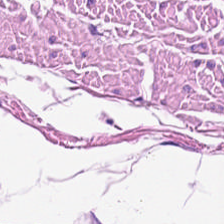Classification — smooth-muscle tissue.
